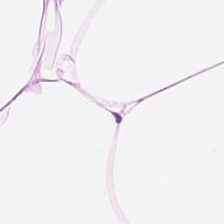Tissue type: fat tissue.
